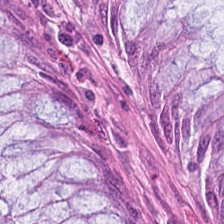{"tissue_type": "benign colonic mucosa"}
